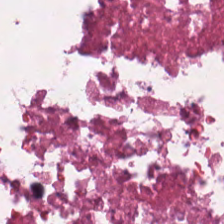Stain: H&E.
Preparation: FFPE.
Predominant tissue: cellular debris.
